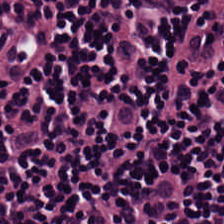H&E patch showing lymphocytic infiltrate.
